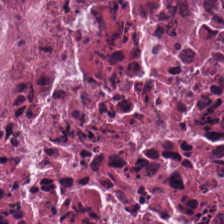H&E · WSI patch.
Q: What is the predominant tissue type?
A: It is necrotic debris.
